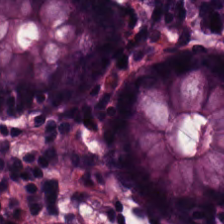H&E stain — This patch shows normal colonic mucosa.
